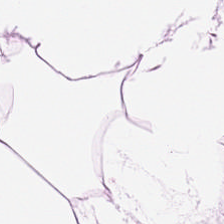H&E-stained tissue section — Predominant tissue — adipose tissue.
